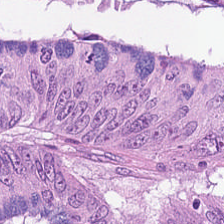Stain: H&E-stained tissue section.
Tile size: 224×224 pixel tile.
Tissue class: tumor epithelium.
